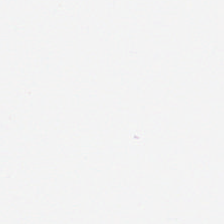Stain: H&E stain.
Field content: no tissue.
